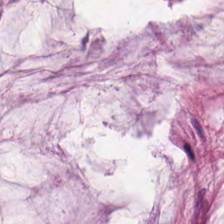Stain: hematoxylin and eosin.
Tissue class: extracellular mucin.
